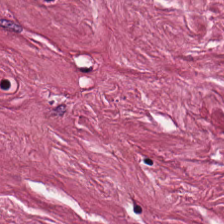The tissue type is cancer-associated stroma.
